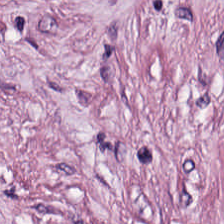Tissue class: cancer-associated stroma.
